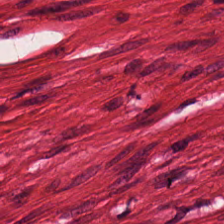0.5 microns per pixel. H&E stain — Q: What is the predominant tissue type?
A: It is smooth muscle.
